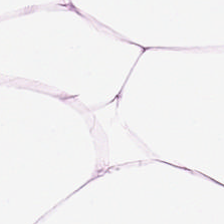Stain: H&E.
Tissue type: adipose.
